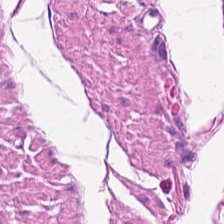Hematoxylin-and-eosin stained section; brightfield — The tissue class is muscularis.
